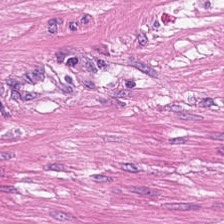Smooth-muscle tissue.
